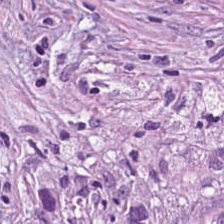224×224 px tile · hematoxylin-and-eosin stained section — Predominant tissue = desmoplastic stroma.
